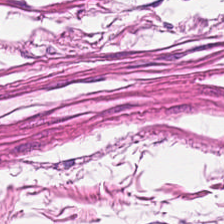H&E; FFPE tissue section.
This patch shows smooth-muscle tissue.
